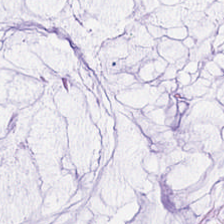Formalin-fixed paraffin-embedded section · hematoxylin and eosin. This patch shows mucin.
